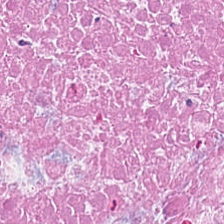H&E stain — Histology → debris.
